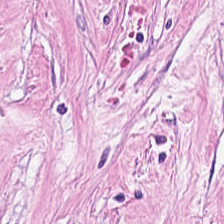H&E-stained tissue section. Whole-slide-image patch.
Predominantly cancer-associated stroma.
